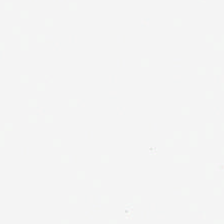H&E. This field is background (no tissue).
